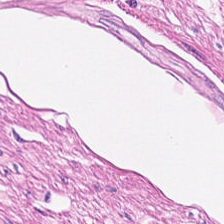H&E-stained tissue section.
Muscularis.
